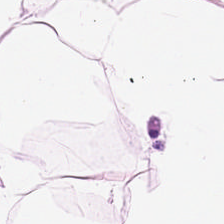H&E stain — Classification — adipose.
